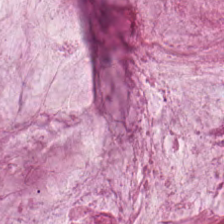224×224 px patch · 0.5 microns per pixel · H&E-stained tissue section — This patch shows extracellular mucin.
